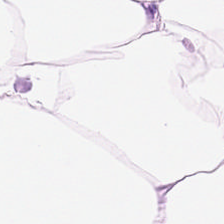The predominant tissue is adipose.
